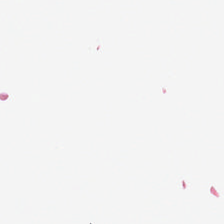Impression → background.
